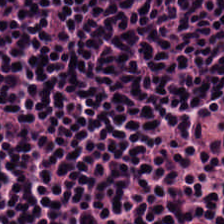Stain: hematoxylin-and-eosin stained section.
Acquisition: WSI patch.
Predominant tissue: lymphocytic infiltrate.
